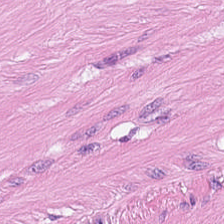0.5 µm/px. 224×224 px tile. Hematoxylin-and-eosin stained section.
Q: What is the predominant tissue type?
A: Muscularis.
